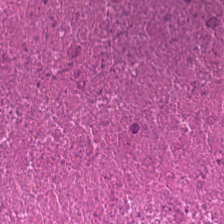Hematoxylin and eosin; 224×224 px tile.
Classification: necrotic debris.
